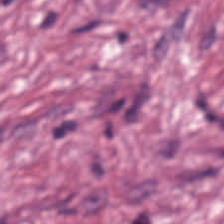H&E-stained tissue section — The predominant tissue is tumor-associated stroma.
